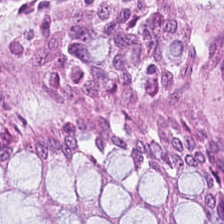H&E — benign colonic mucosa.
